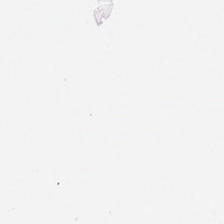H&E stain.
This field is background (no tissue).
